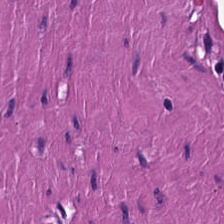Hematoxylin and eosin — {"tissue_type": "smooth-muscle tissue"}
